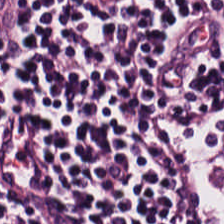Classification: lymphoid infiltrate.
